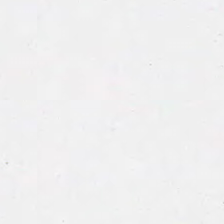FFPE tissue section · 0.5 µm/px · hematoxylin and eosin.
This field is background (no tissue).
